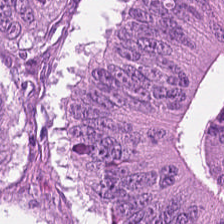{"tissue_type": "colorectal adenocarcinoma"}
